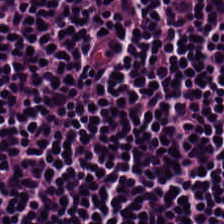H&E — Tissue class = lymphocyte aggregate.
